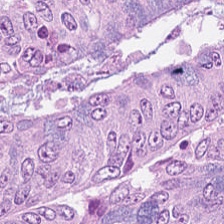Tissue class: colorectal adenocarcinoma epithelium.
